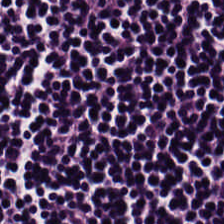The predominant tissue is lymphoid infiltrate.
